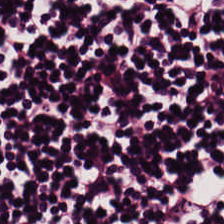Hematoxylin-and-eosin stained section. Whole-slide-image patch. 224×224 pixel tile. This field is lymphocytic infiltrate.
